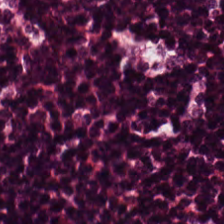Hematoxylin-and-eosin stained section — Predominant tissue: lymphocytes.
